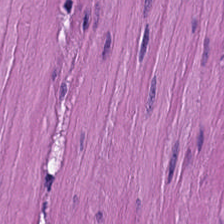This field is muscularis.
